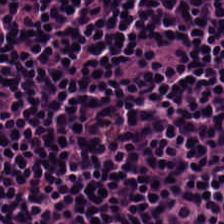Tissue class: lymphocytes.
